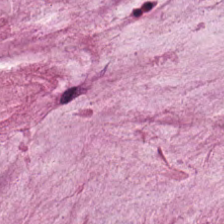Stain: H&E.
Tissue class: mucus.
